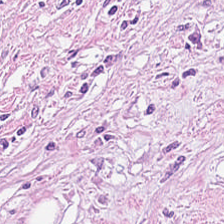Classification — tumor stroma.
